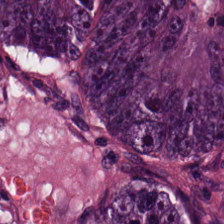Stain: hematoxylin and eosin.
Acquisition: brightfield.
Preparation: FFPE tissue section.
Tissue type: malignant epithelium.
